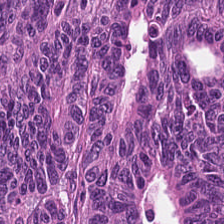Hematoxylin-and-eosin stained section — Q: What is the predominant tissue type?
A: Colorectal adenocarcinoma epithelium.
